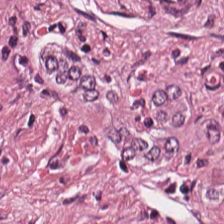Tissue class — tumor stroma.
